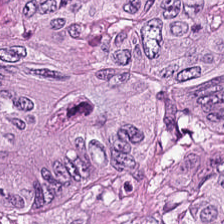Q: What type of tissue is this?
A: This is malignant epithelium.
